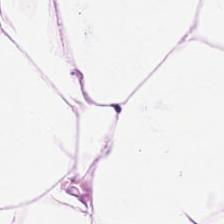224×224 pixel tile · hematoxylin and eosin. Q: What tissue type is shown here?
A: The field shows adipose tissue.
